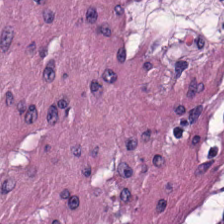H&E-stained tissue section.
Q: What is shown in this field?
A: This is smooth-muscle tissue.
